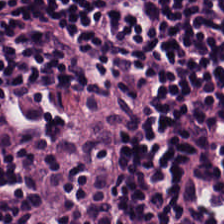Histology — lymphoid infiltrate.
